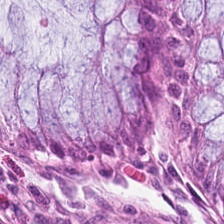Brightfield microscopy; hematoxylin and eosin; 224×224 px tile. Q: What is shown in this field?
A: Normal colon mucosa.
